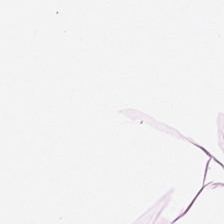H&E patch showing adipose tissue.
